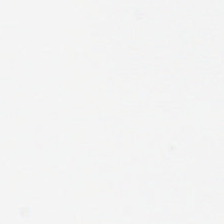Field content = background.
